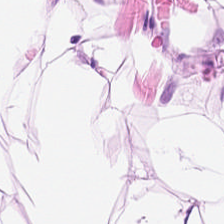WSI patch; 224×224 px patch; hematoxylin and eosin.
This patch shows adipocytes.
